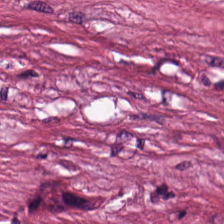Q: What type of tissue is this?
A: It is debris.
